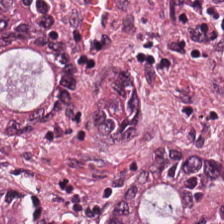0.5 µm per pixel · hematoxylin-and-eosin stained section — Predominantly malignant epithelium.
